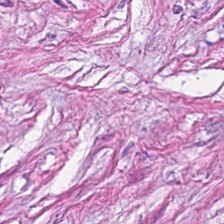0.5 microns per pixel; H&E-stained tissue section; brightfield microscopy. Predominantly tumor stroma.
